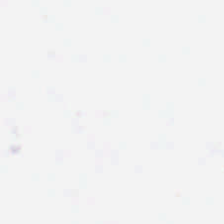Hematoxylin-and-eosin stained section. Q: What is shown here?
A: The field shows background.
